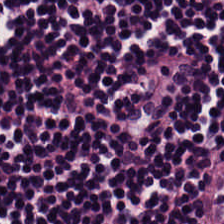20× equivalent magnification · hematoxylin-and-eosin stained section.
Tissue type: lymphocyte aggregate.
